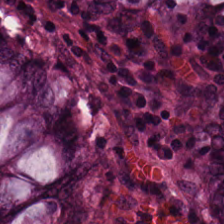Q: What is shown here?
A: The field shows non-neoplastic colon mucosa.
